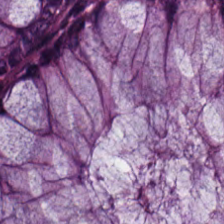Hematoxylin-and-eosin stained section · WSI patch · 224×224 pixel tile. The predominant tissue is non-neoplastic colon mucosa.
